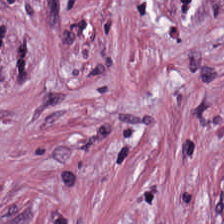Formalin-fixed paraffin-embedded section. 20× equivalent magnification. Hematoxylin-and-eosin stained section — Predominantly desmoplastic stroma.
